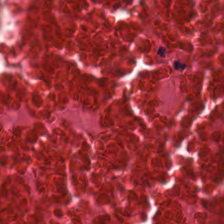H&E-stained tissue section. This field is debris.
